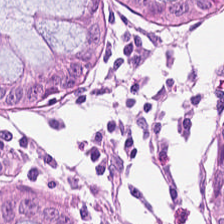Hematoxylin-and-eosin stained section.
Predominantly normal colon mucosa.
